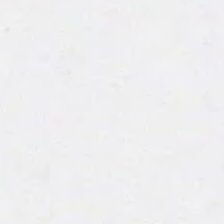Stain: hematoxylin and eosin.
Field content: empty background.
